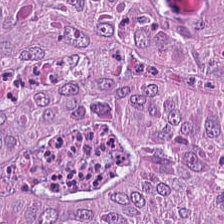Q: What does this patch show?
A: Colorectal adenocarcinoma.
